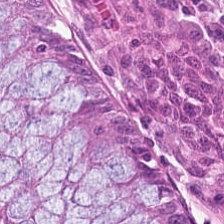Tissue class = normal colonic mucosa.
